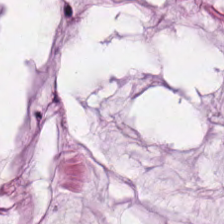H&E — extracellular mucin.
